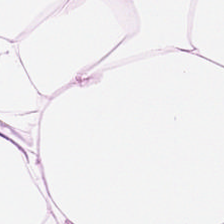Hematoxylin-and-eosin stained section. Predominantly adipose tissue.
